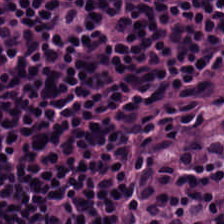H&E-stained tissue section · whole-slide-image patch · 0.5 microns per pixel — Impression → lymphoid infiltrate.
